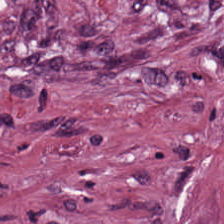H&E-stained tissue section — Finding → cancer-associated stroma.
